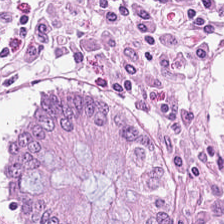Stain: hematoxylin-and-eosin stained section.
Tissue class: non-neoplastic colon mucosa.
